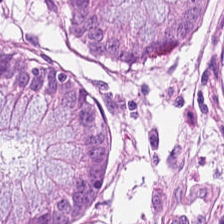H&E stain; 224×224 pixel tile; brightfield microscopy. Finding → normal colon mucosa.
